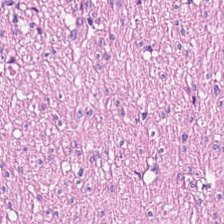FFPE tissue section; hematoxylin and eosin. Q: What is shown in this field?
A: It is smooth muscle.
